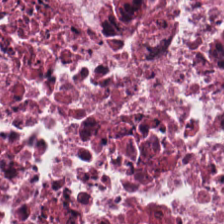H&E. Finding → debris.
